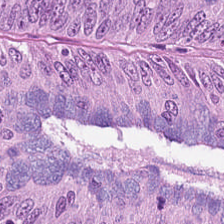Showing malignant epithelium.
